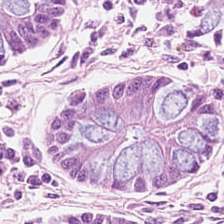Stain: hematoxylin-and-eosin stained section.
Predominant tissue: normal colon mucosa.
